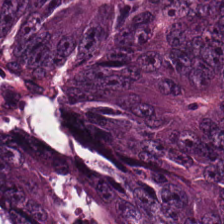Stain: H&E-stained tissue section.
Tile size: 224×224 px patch.
Preparation: FFPE tissue section.
Classification: colorectal adenocarcinoma.
